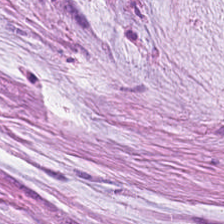H&E patch showing extracellular mucin.
